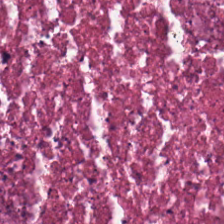Histology — debris.
